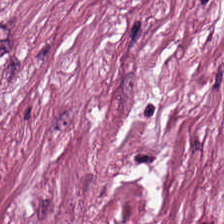Stain: H&E.
Tissue: desmoplastic stroma.
